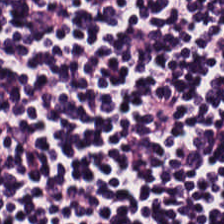Hematoxylin and eosin.
Classification: lymphoid infiltrate.
